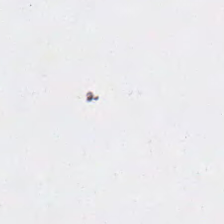Hematoxylin-and-eosin stained section. Finding → background.
